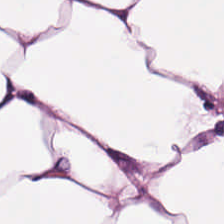Stain: H&E-stained tissue section.
Classification: adipose.
